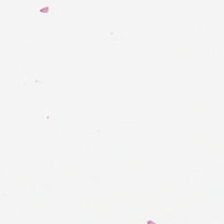Background — no tissue in this field.
